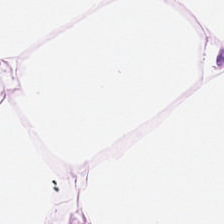This patch shows adipose tissue.
